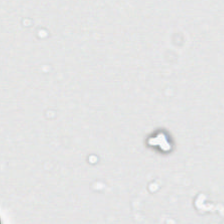{"content": "no tissue"}
